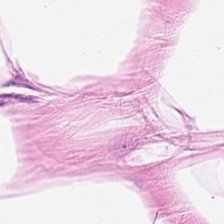Q: What is shown in this field?
A: The field shows adipocytes.
